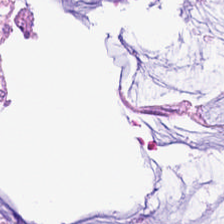H&E stain.
Tissue class = benign colonic mucosa.
